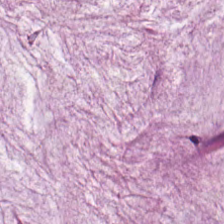Hematoxylin and eosin. Predominantly mucin.
